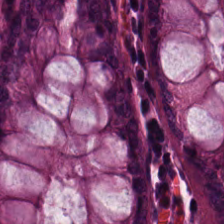Stain: H&E stain.
Resolution: 0.5 µm per pixel.
Acquisition: whole-slide-image patch.
Tissue type: non-neoplastic colon mucosa.
